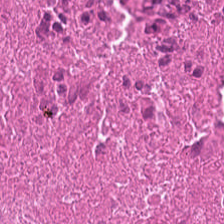H&E stain · 0.5 microns per pixel · 224×224 px patch — Showing debris.
